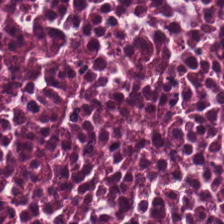Hematoxylin and eosin.
{"tissue_type": "debris"}
